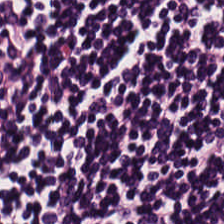H&E-stained tissue section. 224×224 pixel tile.
Tissue = lymphoid infiltrate.
